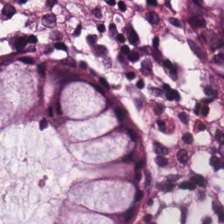H&E patch showing benign colonic mucosa.
